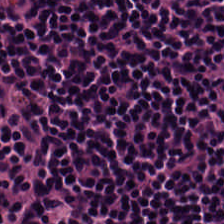H&E-stained tissue section.
Q: Identify the tissue.
A: Lymphocytes.
